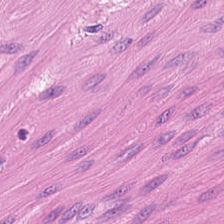H&E stain · brightfield microscopy · 224×224 pixel tile.
Tissue type — smooth muscle.
